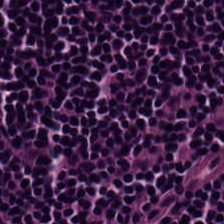FFPE. Hematoxylin-and-eosin stained section.
Classification = lymphocytes.
